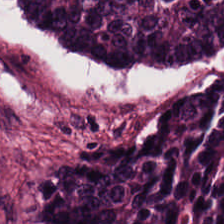Hematoxylin and eosin · 0.5 µm/px · FFPE tissue section. Tissue class: tumor epithelium.
